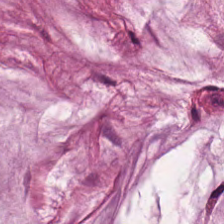Brightfield · H&E. Q: Identify the tissue.
A: Extracellular mucin.
